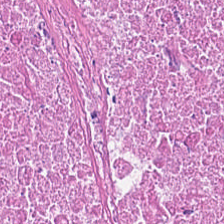Stain: H&E-stained tissue section.
Classification: necrotic debris.
